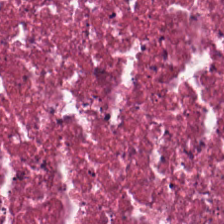Predominant tissue: necrotic debris.
